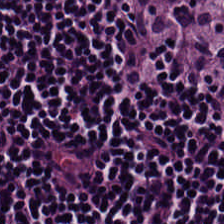Hematoxylin-and-eosin stained section. Whole-slide-image patch.
Q: What type of tissue is this?
A: Lymphocyte aggregate.
